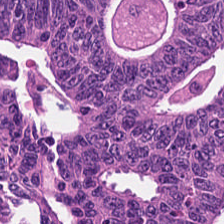Stain: hematoxylin-and-eosin stained section.
Preparation: FFPE.
Acquisition: brightfield microscopy.
Tissue type: colorectal adenocarcinoma.
